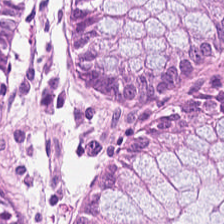Stain: H&E.
Tissue type: benign colonic mucosa.
